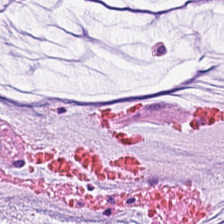224×224 px tile. H&E-stained tissue section.
Tissue type — mucus.
